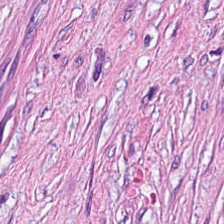Hematoxylin-and-eosin stained section.
{"tissue_type": "desmoplastic stroma"}
